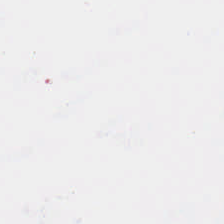Stain: H&E-stained tissue section.
Field content: background.
